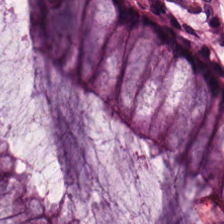Hematoxylin and eosin — Tissue class: non-neoplastic colon mucosa.
